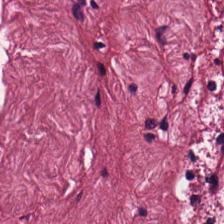Histology → tumor-associated stroma.
